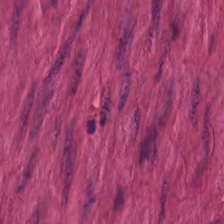This field is smooth-muscle tissue.
